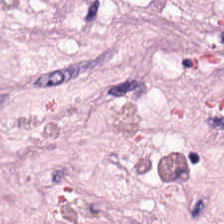H&E · 224×224 pixel tile.
This patch shows desmoplastic stroma.
